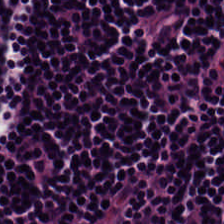Histology — lymphoid infiltrate.
